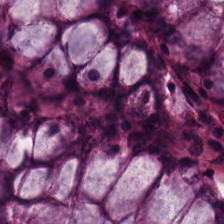0.5 microns per pixel · H&E. This patch shows normal colonic mucosa.
